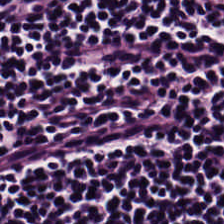H&E — This field is lymphocyte aggregate.
